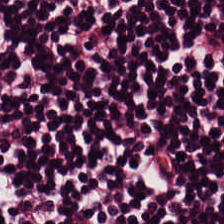H&E stain — The tissue here is lymphoid infiltrate.
